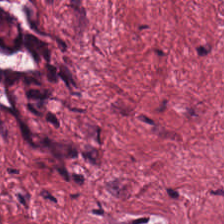Hematoxylin-and-eosin stained section · 224×224 px patch.
Histology → desmoplastic stroma.
